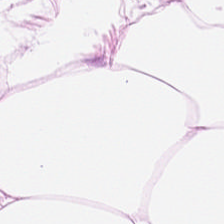Hematoxylin-and-eosin section: fat tissue.
